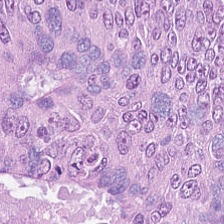Colorectal adenocarcinoma.
